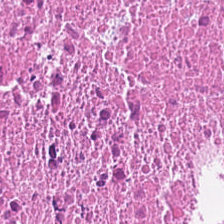This patch shows debris.
